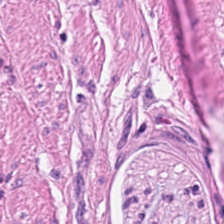H&E-stained tissue section — Smooth muscle.
